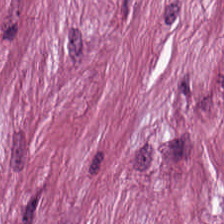H&E. This field is cancer-associated stroma.
